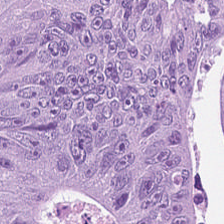Stain: H&E stain.
Acquisition: brightfield microscopy.
Preparation: FFPE tissue section.
Classification: colorectal adenocarcinoma epithelium.
